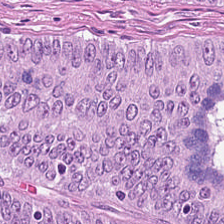Histology → tumor epithelium.
